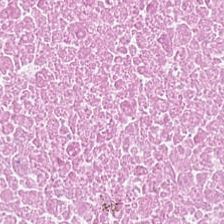H&E-stained section; the field shows necrotic debris.
